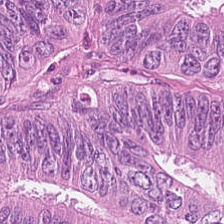Stain: H&E.
Tissue type: colorectal adenocarcinoma epithelium.
